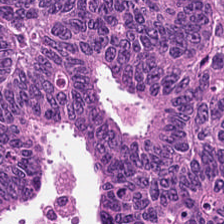H&E · 20× equivalent magnification. This patch shows malignant epithelium.
